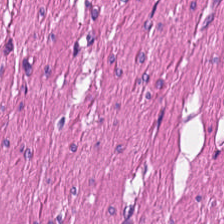Hematoxylin and eosin; FFPE tissue section; 224×224 px tile.
This field is smooth muscle.
